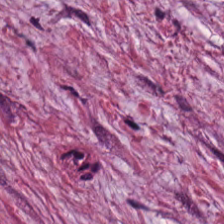Hematoxylin and eosin · whole-slide-image patch · formalin-fixed paraffin-embedded section.
Impression — tumor stroma.
